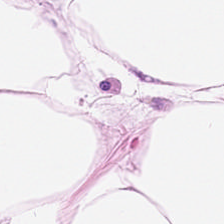Impression → adipose tissue.
